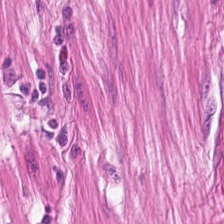20× equivalent magnification. 224×224 px patch. H&E. Predominant tissue = smooth muscle.
